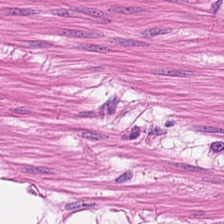Tissue class — smooth muscle.
